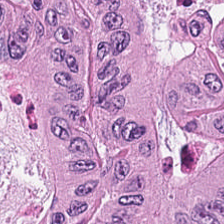Brightfield microscopy; hematoxylin-and-eosin stained section — Showing colorectal adenocarcinoma epithelium.
